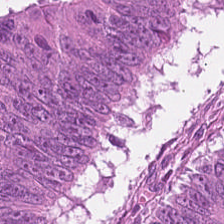Stain: H&E stain.
Resolution: 0.5 µm per pixel.
Classification: tumor epithelium.
